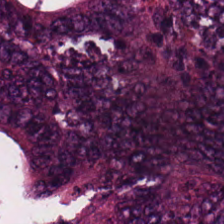Hematoxylin-and-eosin stained section. Q: Identify the tissue.
A: Colorectal adenocarcinoma.
